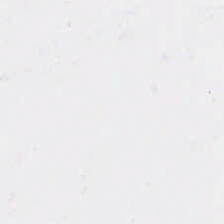FFPE tissue section · hematoxylin-and-eosin stained section. No tissue present; background only.
